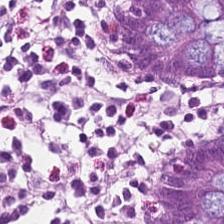Hematoxylin-and-eosin stained section.
This patch shows non-neoplastic colon mucosa.
